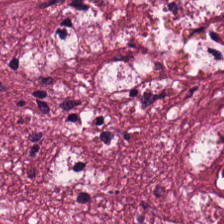H&E. Brightfield microscopy. 20× equivalent magnification.
Predominantly cancer-associated stroma.
